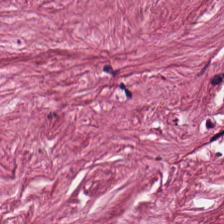0.5 µm/px. 224×224 px tile. Hematoxylin-and-eosin stained section. This field is cancer-associated stroma.
